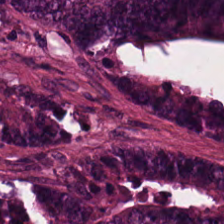H&E-stained tissue section; 0.5 µm per pixel. Predominant tissue = tumor epithelium.
